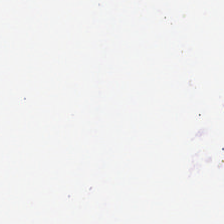20× equivalent magnification · H&E stain. Q: What is shown here?
A: This is background (no tissue).
